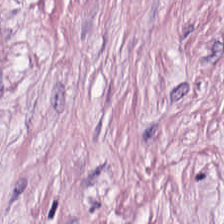Hematoxylin and eosin.
Predominant tissue: cancer-associated stroma.
